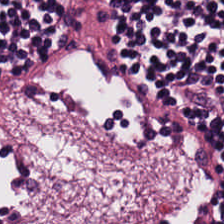This patch shows lymphocyte aggregate.
